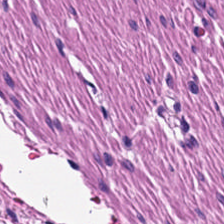Hematoxylin and eosin. 0.5 µm per pixel — Showing smooth muscle.
